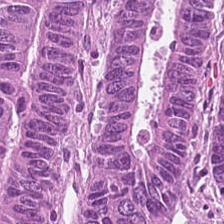H&E-stained tissue section — Q: What tissue type is shown here?
A: It is colorectal adenocarcinoma epithelium.
